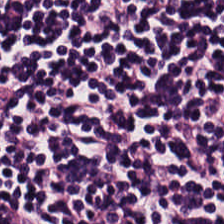Stain: hematoxylin and eosin.
Predominant tissue: lymphocyte aggregate.
